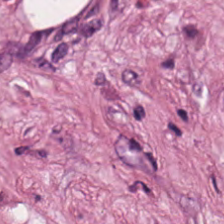224×224 pixel tile; hematoxylin and eosin; 0.5 µm/px — The tissue here is cancer-associated stroma.
